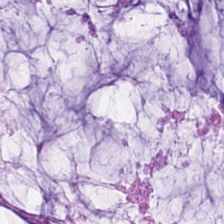H&E stain.
Histology → extracellular mucin.
